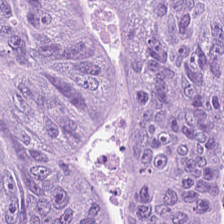Stain: hematoxylin and eosin.
Tissue type: adenocarcinoma.
